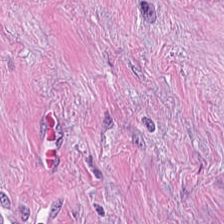H&E patch showing tumor-associated stroma.
